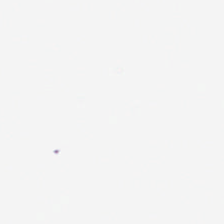20× equivalent magnification; hematoxylin and eosin — Q: What is shown here?
A: No tissue.
